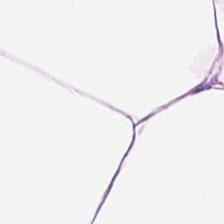Q: What tissue type is shown here?
A: This is adipose tissue.
